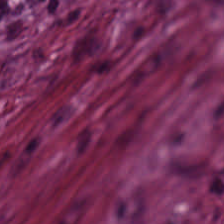Stain: hematoxylin-and-eosin stained section.
Classification: desmoplastic stroma.
